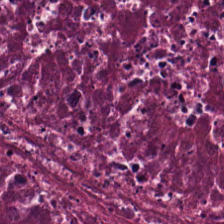This patch shows necrotic debris.
